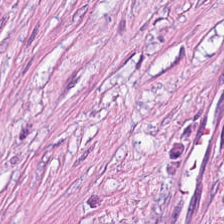H&E. The tissue is tumor stroma.
